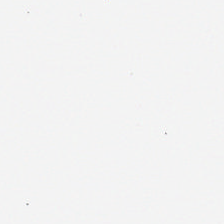H&E — Content = background (no tissue).
